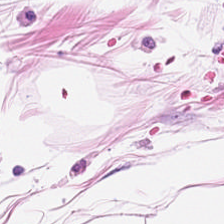H&E.
Finding — adipose tissue.
